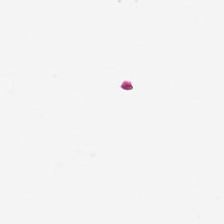H&E.
This patch shows background.
